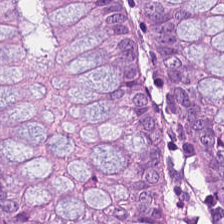0.5 microns per pixel; hematoxylin-and-eosin stained section; formalin-fixed paraffin-embedded section — This patch shows normal colon mucosa.
